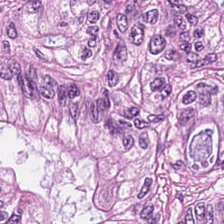FFPE tissue section; H&E.
Impression — adenocarcinoma.
